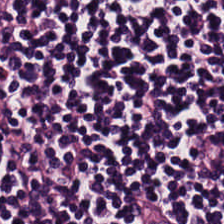Predominantly lymphocytic infiltrate.
